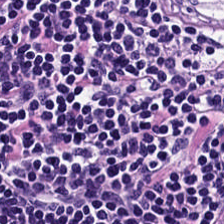WSI patch · hematoxylin-and-eosin stained section · 0.5 µm/px — {"tissue_type": "lymphoid infiltrate"}
